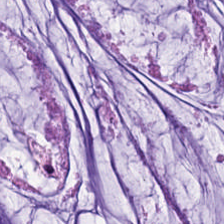Hematoxylin and eosin. Classification: extracellular mucin.
